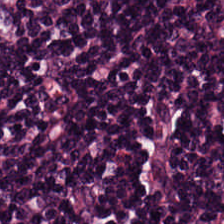Hematoxylin-and-eosin stained section.
{"tissue_type": "lymphocytes"}
